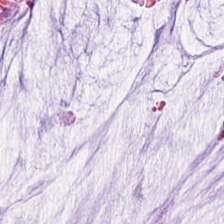Stain: hematoxylin-and-eosin stained section.
Predominant tissue: mucus.
